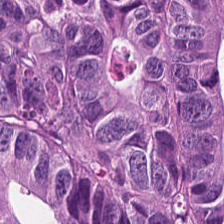Classification: colorectal adenocarcinoma.
